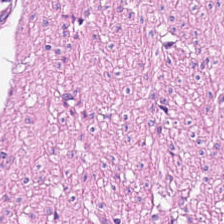Tissue type — smooth muscle.
